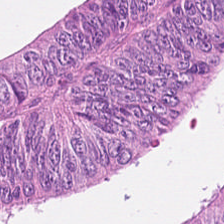H&E-stained tissue section. Q: What does this patch show?
A: The field shows malignant epithelium.
